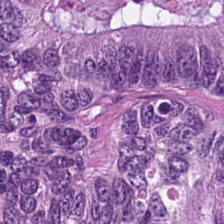Colorectal adenocarcinoma.
